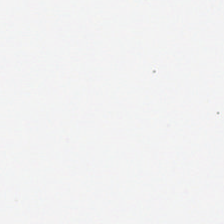Background — no tissue in this field.
